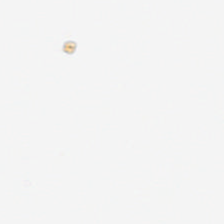This patch shows background (no tissue).
